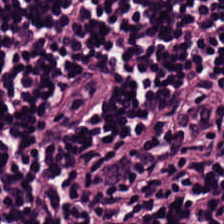Q: What does this patch show?
A: This is lymphocyte aggregate.
